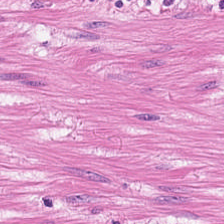H&E stain; 224×224 px patch; 0.5 microns per pixel — Tissue type — muscularis.
